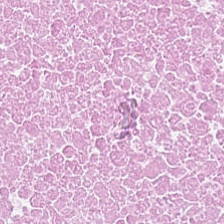Hematoxylin-and-eosin stained section. Q: What is the predominant tissue type?
A: This is cellular debris.
